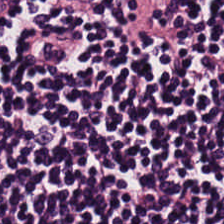H&E-stained tissue section — Histology — lymphocyte aggregate.
